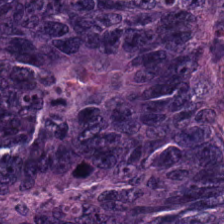Hematoxylin-and-eosin stained section. Classification — malignant epithelium.
